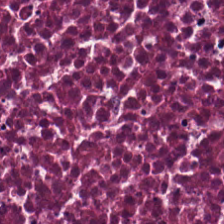Q: What tissue type is shown here?
A: This is debris.
